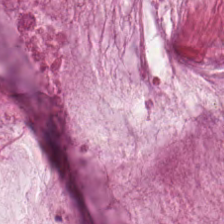WSI patch. H&E stain. Tissue class — extracellular mucin.
